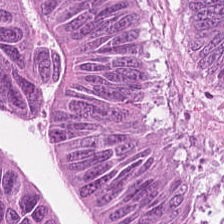Stain: hematoxylin and eosin.
Classification: malignant epithelium.
